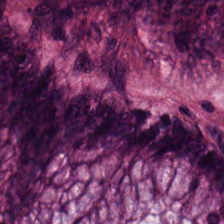Hematoxylin-and-eosin stained section.
The predominant tissue is normal colonic mucosa.
